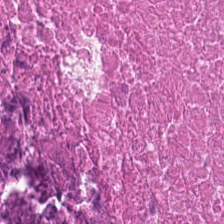The tissue is debris.
